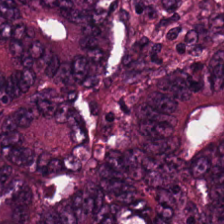H&E-stained tissue section · FFPE.
Tissue: tumor epithelium.
